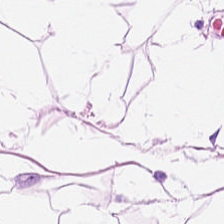Hematoxylin and eosin.
Q: Classify this patch.
A: It is adipose.
